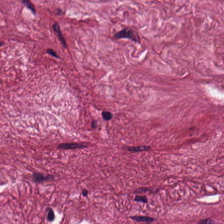H&E — desmoplastic stroma.
